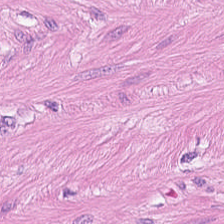H&E-stained tissue section — The tissue is muscularis.
